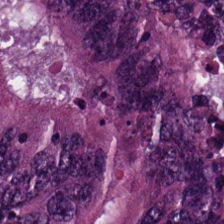H&E stain — Tumor epithelium.
